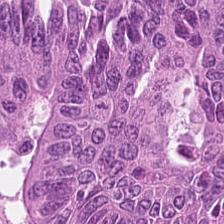FFPE. H&E-stained tissue section — This field is colorectal adenocarcinoma epithelium.
